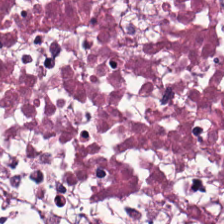Classification — debris.
